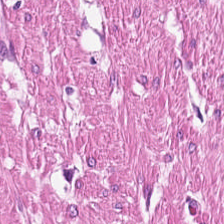H&E.
The predominant tissue is smooth muscle.
